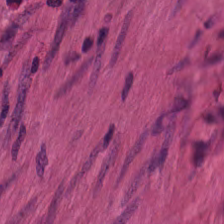Brightfield · hematoxylin and eosin · 20× equivalent magnification.
This patch shows muscularis.
